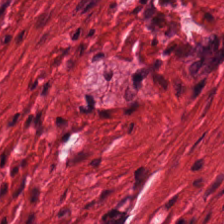The tissue here is muscularis.
